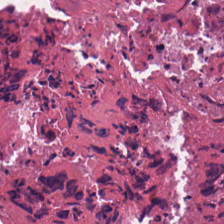H&E — Q: Identify the tissue.
A: Necrotic debris.
